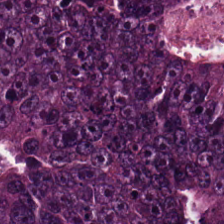H&E-stained tissue section · brightfield microscopy — Histology — colorectal adenocarcinoma epithelium.
